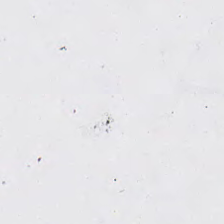H&E-stained tissue section. Background — no tissue in this field.
